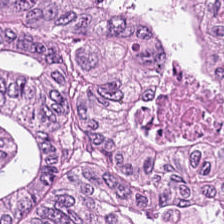H&E stain.
The tissue here is adenocarcinoma.
